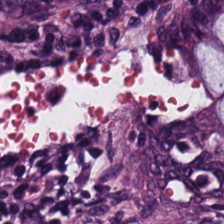Classification: normal colonic mucosa.
